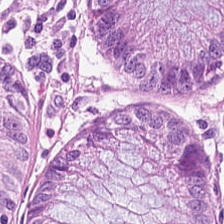Hematoxylin and eosin; 224×224 px patch. Histology → normal colon mucosa.
